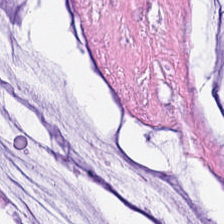Q: What type of tissue is this?
A: The field shows mucin.
